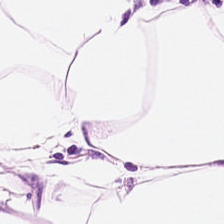Hematoxylin-and-eosin stained section — Predominant tissue: adipocytes.
